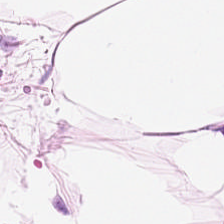H&E. Q: What tissue type is shown here?
A: It is fat tissue.
